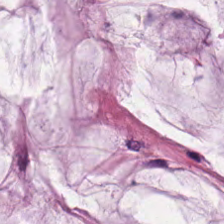Hematoxylin and eosin — Showing mucin.
